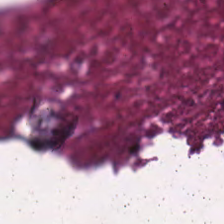Q: What tissue type is shown here?
A: The field shows necrotic debris.
